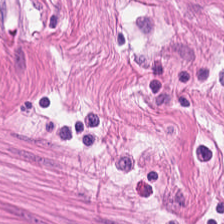FFPE; hematoxylin and eosin; 224×224 pixel tile — Q: Classify this patch.
A: This is smooth muscle.
